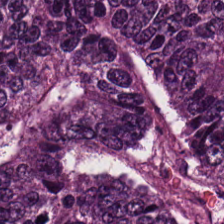Hematoxylin-and-eosin stained section · 20× equivalent magnification · FFPE — This patch shows colorectal adenocarcinoma epithelium.
